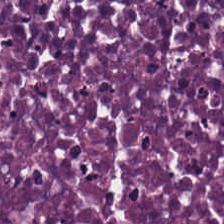Stain: H&E-stained tissue section.
Predominant tissue: necrotic debris.
